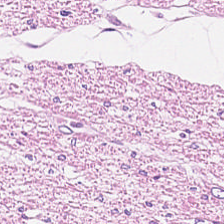Hematoxylin-and-eosin stained section.
The tissue class is smooth-muscle tissue.
